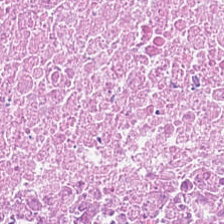H&E-stained tissue section.
Tissue type: debris.
